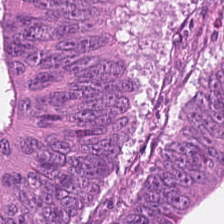H&E stain. Q: What is the predominant tissue type?
A: Colorectal adenocarcinoma epithelium.
